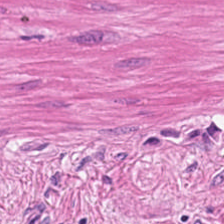Classification = muscularis.
